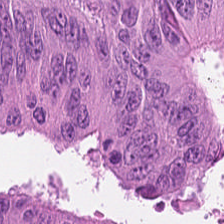Formalin-fixed paraffin-embedded section · 20× equivalent magnification · hematoxylin and eosin — Q: What does this patch show?
A: This is malignant epithelium.
